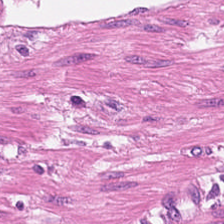224×224 px patch. Hematoxylin and eosin. Classification = muscularis.
